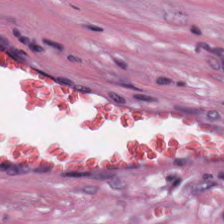Hematoxylin and eosin — Predominantly cancer-associated stroma.
